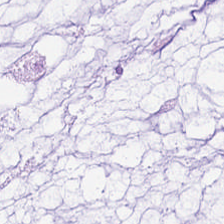Stain: H&E stain.
Classification: mucus.
